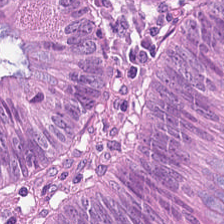0.5 µm per pixel; H&E stain; 224×224 px tile — {"tissue_type": "tumor epithelium"}
